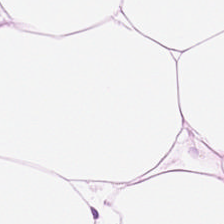H&E · whole-slide-image patch · 224×224 pixel tile — Q: What is shown here?
A: The field shows adipose.
